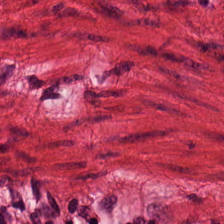H&E-stained tissue section · FFPE tissue section.
Q: What is shown here?
A: The field shows smooth-muscle tissue.
